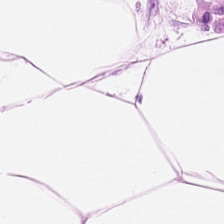Histology — fat tissue.
